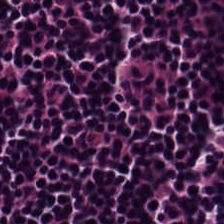Hematoxylin and eosin — Lymphocytic infiltrate.
